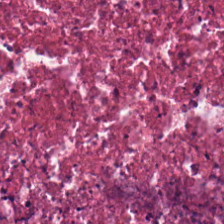FFPE; hematoxylin-and-eosin stained section — Tissue — debris.
